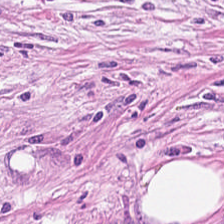FFPE tissue section. 0.5 microns per pixel. H&E. Q: What is shown here?
A: The field shows tumor stroma.
